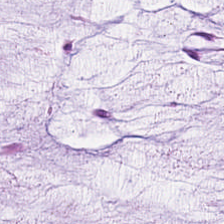H&E stain.
Classification: mucin.
